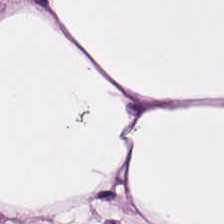H&E · 0.5 µm/px — Q: What type of tissue is this?
A: Adipose tissue.
